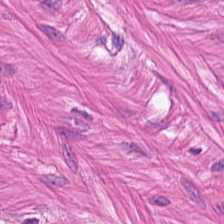H&E-stained section; the field shows smooth-muscle tissue.
